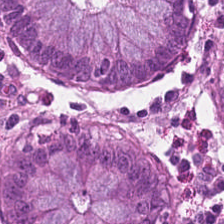Finding → normal colonic mucosa.
